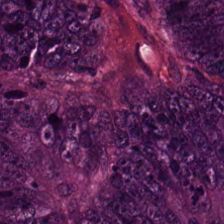H&E-stained tissue section.
Tissue type: adenocarcinoma.
